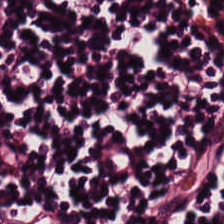H&E. Brightfield microscopy. 224×224 px tile. The predominant tissue is lymphoid infiltrate.
